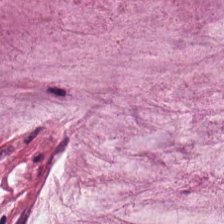Hematoxylin and eosin; 224×224 px patch; brightfield microscopy. Tissue class = extracellular mucin.
